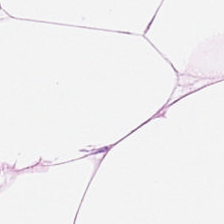224×224 px patch; 0.5 µm/px; H&E stain. {"tissue_type": "adipocytes"}
